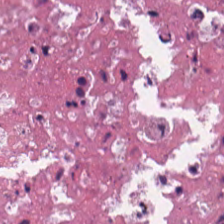Stain: H&E stain.
Classification: debris.
